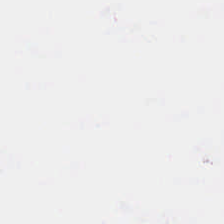0.5 µm/px · H&E. The field content is background (no tissue).
